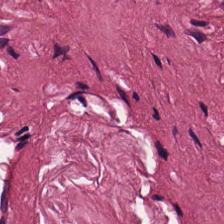H&E-stained tissue section · 224×224 px tile · WSI patch. Q: What is the predominant tissue type?
A: This is cancer-associated stroma.
